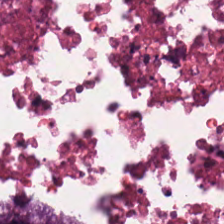H&E stain — Finding → necrotic debris.
